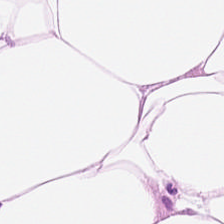H&E — Predominantly fat tissue.
